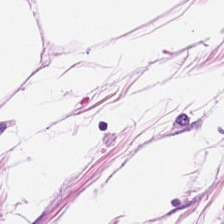Brightfield microscopy; H&E stain.
This field is adipose tissue.
